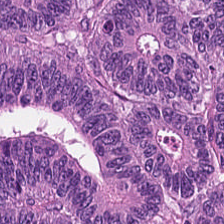0.5 µm/px · formalin-fixed paraffin-embedded section · H&E stain. Showing adenocarcinoma.
